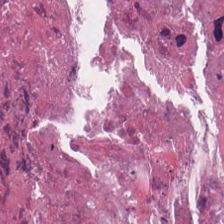224×224 px patch; hematoxylin and eosin; 0.5 µm/px — Cellular debris.
